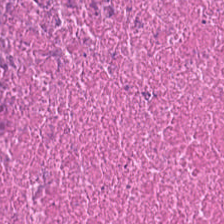Hematoxylin and eosin · brightfield — Debris.
